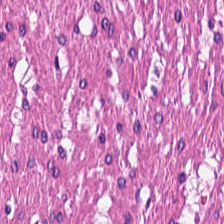H&E. FFPE tissue section.
The tissue is smooth-muscle tissue.
